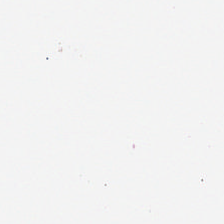Brightfield microscopy · H&E stain.
This field is background (no tissue).
